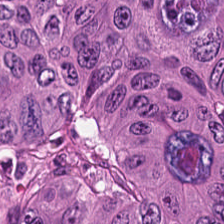H&E. 0.5 microns per pixel. 224×224 px patch.
The tissue here is tumor epithelium.
